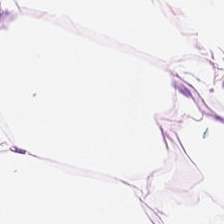Q: What does this patch show?
A: The field shows adipocytes.
